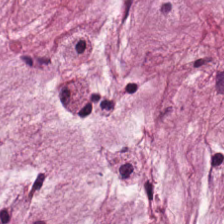0.5 microns per pixel; H&E — Impression — extracellular mucin.
